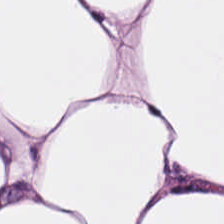Q: What tissue is shown?
A: The field shows fat tissue.
